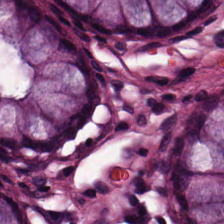H&E — benign colonic mucosa.
